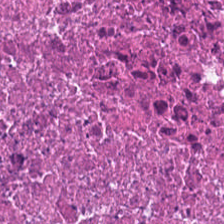Stain: H&E.
Preparation: FFPE tissue section.
Classification: debris.
